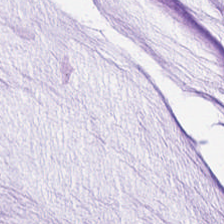Stain: H&E stain.
Predominant tissue: mucus.
